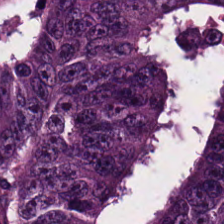WSI patch. H&E-stained tissue section — Tissue type: colorectal adenocarcinoma epithelium.
